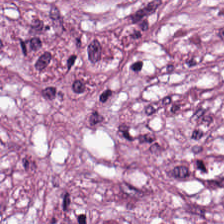Formalin-fixed paraffin-embedded section; H&E-stained tissue section.
The tissue type is desmoplastic stroma.
